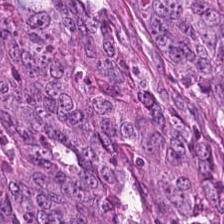Histology → adenocarcinoma.
